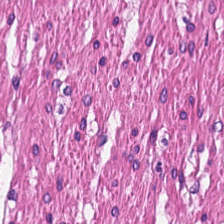Tissue class — smooth muscle.
